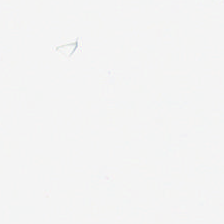Stain: hematoxylin-and-eosin stained section.
Acquisition: whole-slide-image patch.
Resolution: 0.5 µm/px.
Content: no tissue.
